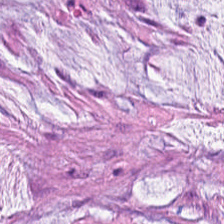H&E stain.
This field is extracellular mucin.
